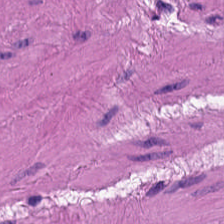Stain: H&E stain.
Classification: smooth-muscle tissue.
